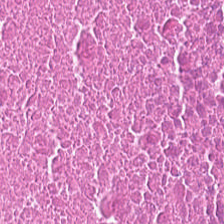The tissue here is necrotic debris.
